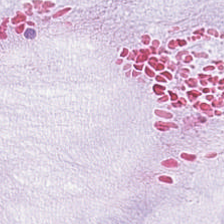Classification — mucin.
